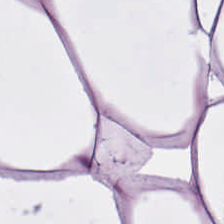Hematoxylin-and-eosin stained section. Brightfield.
The tissue here is adipocytes.
